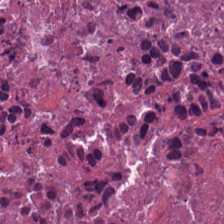H&E-stained section; the field shows debris.
